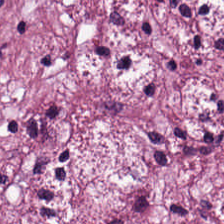Predominant tissue = cancer-associated stroma.
